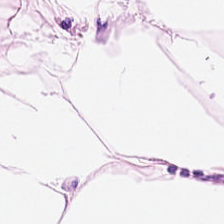Hematoxylin and eosin — Tissue type — adipose tissue.
